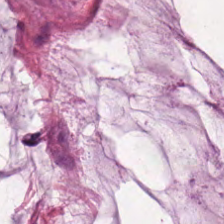Tissue — mucus.
